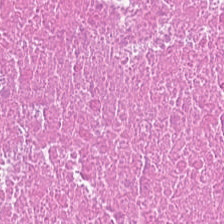H&E.
Tissue type — cellular debris.
